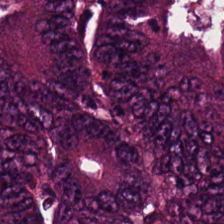H&E. The predominant tissue is colorectal adenocarcinoma epithelium.
